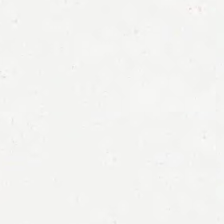H&E stain. This field is background (no tissue).
